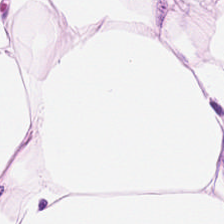Stain: hematoxylin and eosin.
Classification: adipose tissue.
